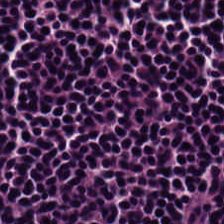224×224 px patch. H&E-stained tissue section.
Showing lymphocyte aggregate.
